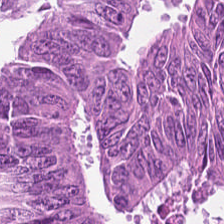Stain: hematoxylin and eosin.
Acquisition: brightfield microscopy.
Tile size: 224×224 px patch.
Tissue type: adenocarcinoma.
